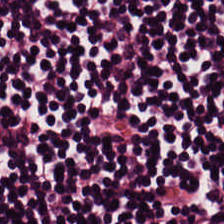H&E.
The predominant tissue is lymphocyte aggregate.
